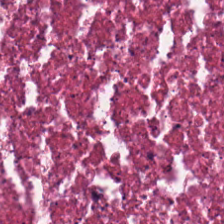H&E-stained tissue section — Predominantly necrotic debris.
